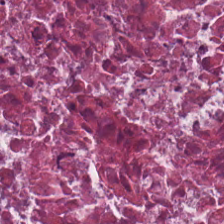H&E-stained tissue section.
This field is necrotic debris.
